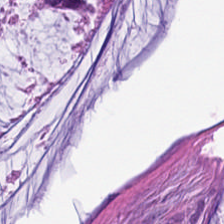{"tissue_type": "extracellular mucin"}
